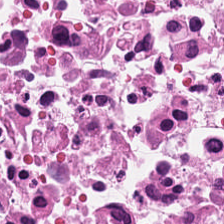Stain: H&E.
Predominant tissue: debris.
